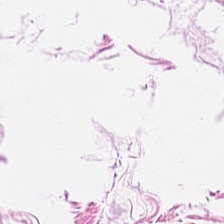Fat tissue.
